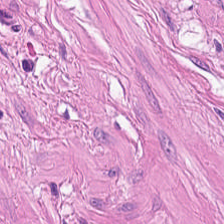H&E-stained tissue section. FFPE.
Q: What tissue type is shown here?
A: This is muscularis.
